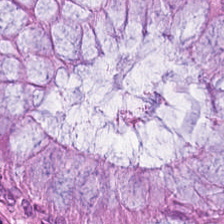H&E-stained tissue section; 224×224 px patch. Classification: normal colonic mucosa.
